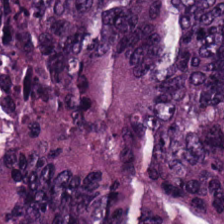Hematoxylin-and-eosin stained section. The predominant tissue is malignant epithelium.
